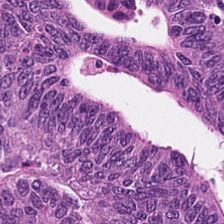Brightfield microscopy · hematoxylin-and-eosin stained section · formalin-fixed paraffin-embedded section — The predominant tissue is colorectal adenocarcinoma.
